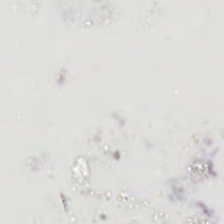FFPE tissue section · hematoxylin-and-eosin stained section — Classification — background.
